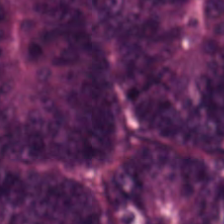Q: What is shown here?
A: The field shows colorectal adenocarcinoma.
